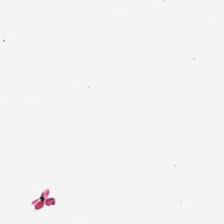No tissue present; background only.
